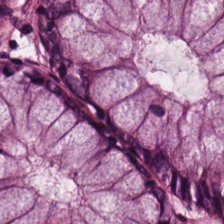H&E stain — Predominantly normal colon mucosa.
